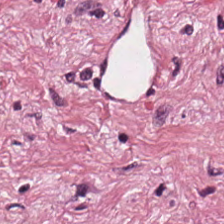H&E stain — Impression → tumor stroma.
